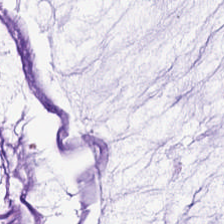Hematoxylin-and-eosin stained section. FFPE tissue section.
Classification — mucin.
